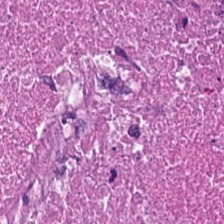Hematoxylin and eosin — Debris.
